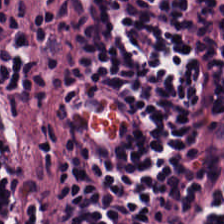H&E-stained tissue section.
Lymphoid infiltrate.
